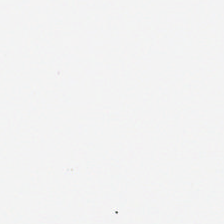Stain: hematoxylin-and-eosin stained section.
Field content: background (no tissue).
